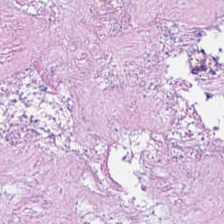H&E stain. Predominantly debris.
